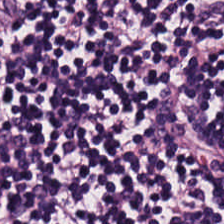H&E stain. The tissue here is lymphocytes.
